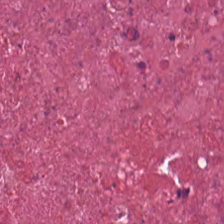Hematoxylin-and-eosin stained section. Brightfield. This field is debris.
